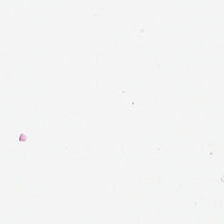Hematoxylin-and-eosin stained section. Empty field — background (no tissue).
